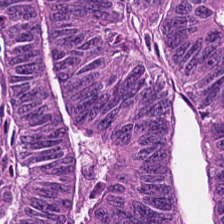FFPE · H&E · WSI patch — This field is tumor epithelium.
